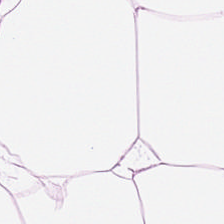H&E. FFPE tissue section. 0.5 µm/px — Showing fat tissue.
